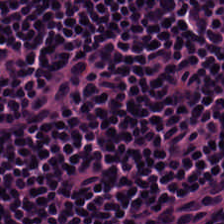Hematoxylin and eosin — Finding — lymphoid infiltrate.
